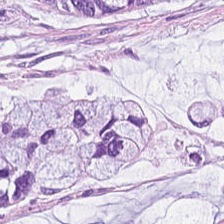H&E patch showing mucin.
